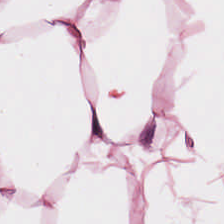Hematoxylin and eosin.
This field is adipose tissue.
